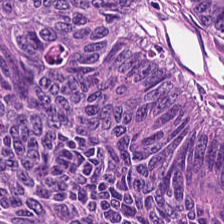224×224 pixel tile. H&E — {"tissue_type": "colorectal adenocarcinoma"}
